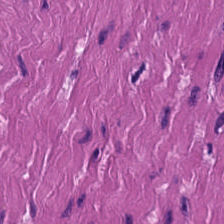Hematoxylin-and-eosin stained section. FFPE tissue section. 20× equivalent magnification.
Q: What tissue type is shown here?
A: Smooth-muscle tissue.
